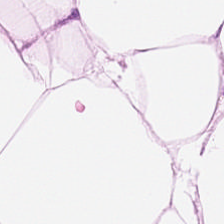Hematoxylin and eosin.
Fat tissue.
